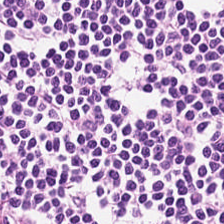Hematoxylin and eosin — This field is lymphocytes.
